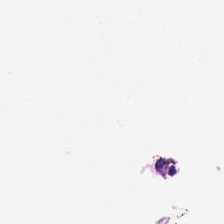This patch shows no tissue.
